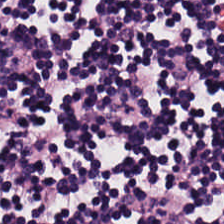224×224 pixel tile; 0.5 microns per pixel; hematoxylin-and-eosin stained section — Classification: lymphoid infiltrate.
